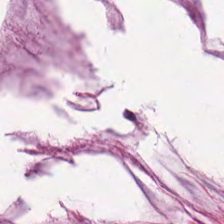Q: What does this patch show?
A: Mucin.
